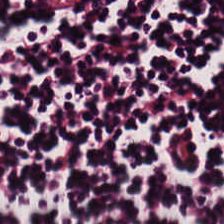224×224 pixel tile; H&E-stained tissue section; brightfield microscopy.
{"tissue_type": "lymphocytic infiltrate"}
